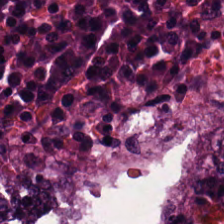Stain: H&E-stained tissue section.
Classification: adenocarcinoma.
